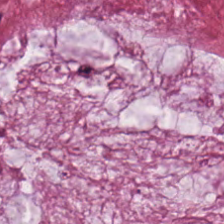H&E stain. FFPE. 224×224 pixel tile. Q: What does this patch show?
A: This is mucus.
